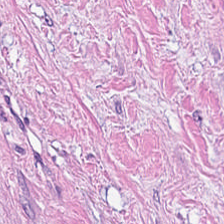224×224 px tile · WSI patch · H&E stain — This field is desmoplastic stroma.
